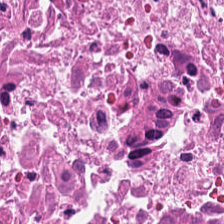Brightfield; 0.5 µm/px; hematoxylin-and-eosin stained section — Q: What tissue is shown?
A: The field shows necrotic debris.
